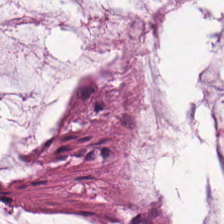H&E stain. This field is mucus.
